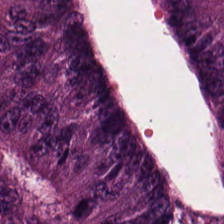H&E stain. FFPE tissue section — This patch shows adenocarcinoma.
